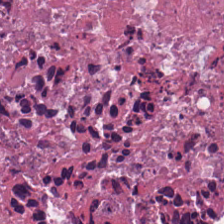Whole-slide-image patch. H&E stain.
Predominantly debris.
